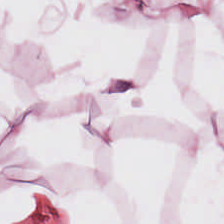Adipocytes.
